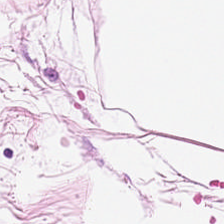Hematoxylin and eosin; 224×224 pixel tile.
The predominant tissue is adipose.
